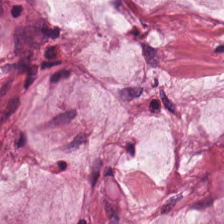0.5 microns per pixel; hematoxylin-and-eosin stained section; 224×224 pixel tile — Histology → extracellular mucin.
